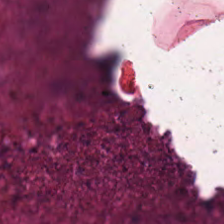H&E-stained tissue section; FFPE tissue section. {"tissue_type": "debris"}
